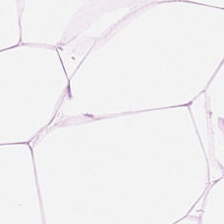Stain: hematoxylin-and-eosin stained section.
Tissue: adipocytes.
